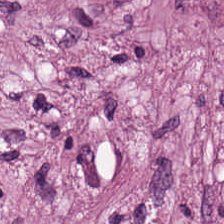Brightfield microscopy; hematoxylin-and-eosin stained section. Desmoplastic stroma.
